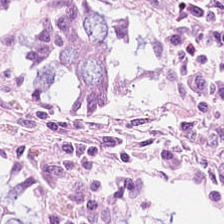The predominant tissue is non-neoplastic colon mucosa.
